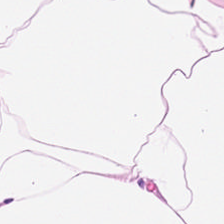H&E-stained tissue section. FFPE tissue section. 0.5 µm/px — Showing adipose.
